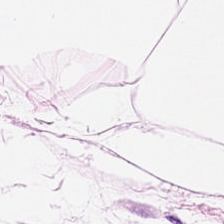Classification — adipocytes.
